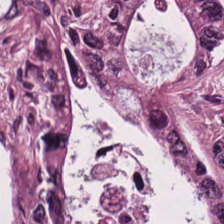Hematoxylin-and-eosin stained section — This patch shows tumor epithelium.
